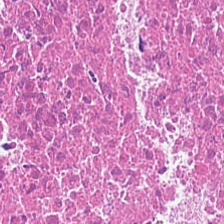H&E. Necrotic debris.
